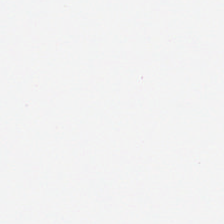224×224 px patch. Hematoxylin-and-eosin stained section. 0.5 microns per pixel.
Field content = empty background.
